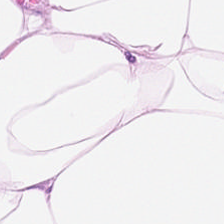Hematoxylin and eosin.
Adipose tissue.
